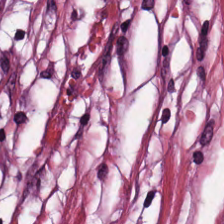Q: What is the predominant tissue type?
A: It is tumor stroma.
